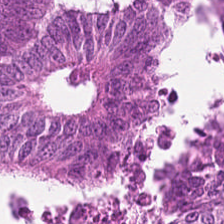Stain: hematoxylin-and-eosin stained section.
Tissue type: adenocarcinoma.
